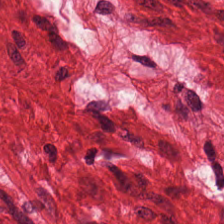Hematoxylin and eosin. Histology — smooth-muscle tissue.
